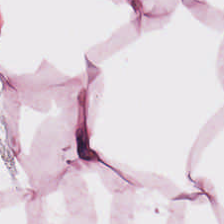Predominantly adipose.
